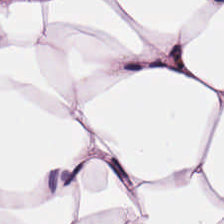The tissue is adipocytes.
